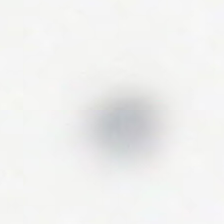H&E-stained tissue section · 20× equivalent magnification. Impression → background.
